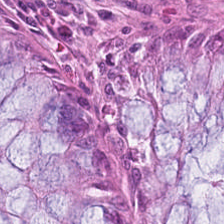{"tissue_type": "normal colonic mucosa"}
